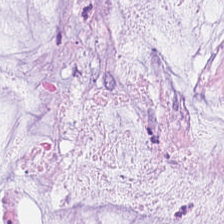Stain: H&E.
Preparation: FFPE tissue section.
Tissue type: mucus.
